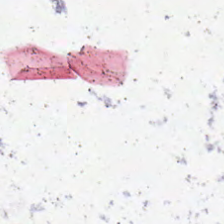Finding — no tissue.
